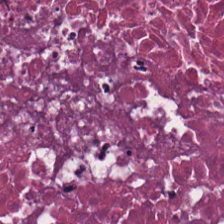0.5 microns per pixel · hematoxylin-and-eosin stained section — Q: What is the predominant tissue type?
A: It is cellular debris.
